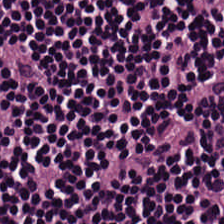Stain: hematoxylin-and-eosin stained section.
Preparation: formalin-fixed paraffin-embedded section.
Tile size: 224×224 px tile.
Tissue type: lymphocytic infiltrate.
